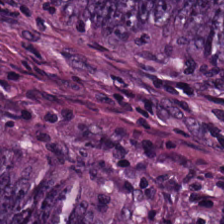H&E · FFPE — This field is tumor epithelium.
